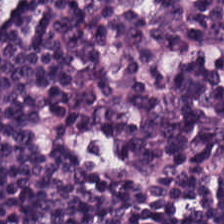H&E stain. Predominant tissue: lymphocyte aggregate.
